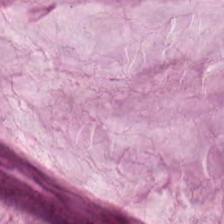Stain: hematoxylin and eosin.
Predominant tissue: extracellular mucin.
